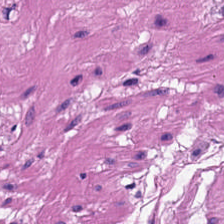Hematoxylin-and-eosin stained section — This field is smooth muscle.
